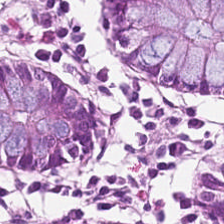Hematoxylin-and-eosin stained section.
Finding — benign colonic mucosa.
